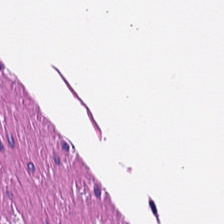Stain: H&E.
Tissue type: smooth-muscle tissue.
